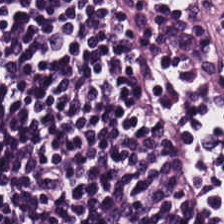H&E-stained tissue section — Lymphoid infiltrate.
